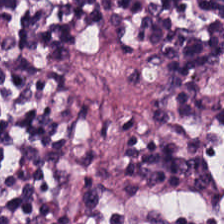Classification: lymphocytic infiltrate.
